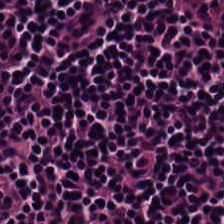Q: What is shown in this field?
A: It is lymphocytic infiltrate.
